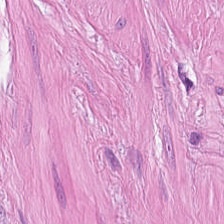Stain: H&E-stained tissue section.
Tissue type: smooth muscle.
